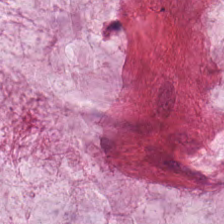H&E-stained tissue section showing mucus.
